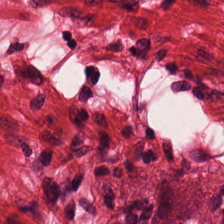FFPE. H&E. {"tissue_type": "smooth muscle"}
